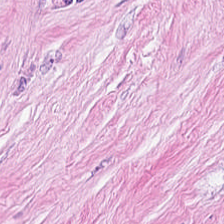H&E-stained tissue section. Tumor-associated stroma.
